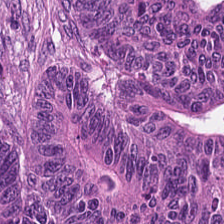H&E stain · 0.5 microns per pixel — Predominant tissue: tumor epithelium.
